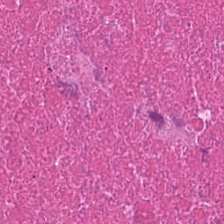Predominant tissue = debris.
